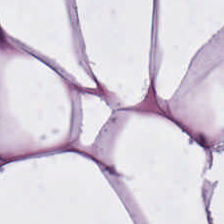Finding → fat tissue.
